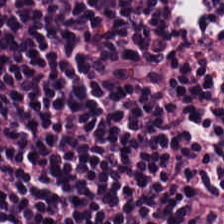Stain: H&E.
Acquisition: whole-slide-image patch.
Tissue type: lymphocytic infiltrate.
